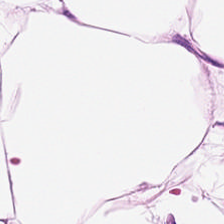0.5 µm per pixel. Hematoxylin and eosin.
Showing adipocytes.
